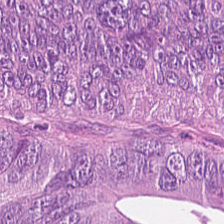Brightfield microscopy. Hematoxylin-and-eosin stained section.
The tissue here is malignant epithelium.
